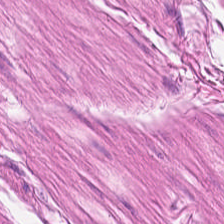Hematoxylin and eosin. 224×224 pixel tile. 20× equivalent magnification. Q: What tissue is shown?
A: The field shows smooth muscle.
